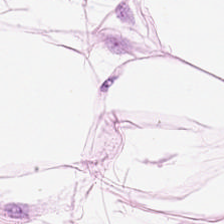This patch shows adipocytes.
